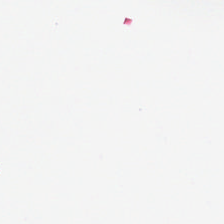FFPE. 224×224 px patch. Hematoxylin-and-eosin stained section.
No tissue present; background only.
